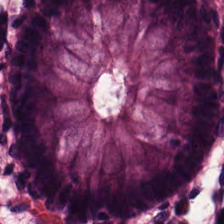H&E. 224×224 pixel tile. WSI patch — The predominant tissue is normal colonic mucosa.
